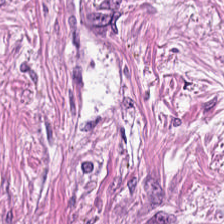H&E-stained tissue section.
Q: What type of tissue is this?
A: The field shows tumor-associated stroma.
